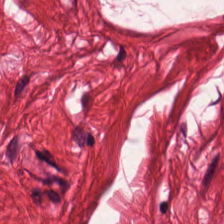H&E stain — Showing muscularis.
